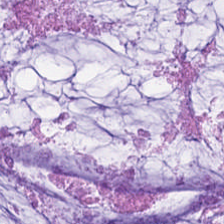Stain: H&E.
Acquisition: brightfield.
Tile size: 224×224 px patch.
Tissue type: mucus.
